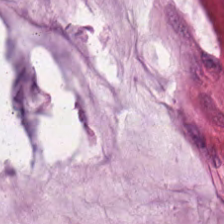224×224 px tile. H&E. Predominantly mucus.
